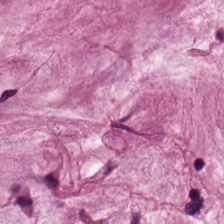H&E-stained tissue section — Finding — mucus.
